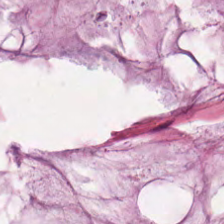H&E stain. Extracellular mucin.
